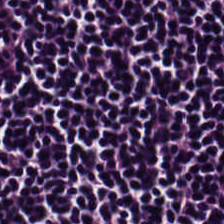Hematoxylin-and-eosin stained section.
Q: What does this patch show?
A: The field shows lymphocytic infiltrate.
